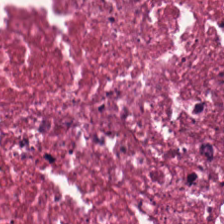0.5 microns per pixel · hematoxylin and eosin. Tissue class = debris.
